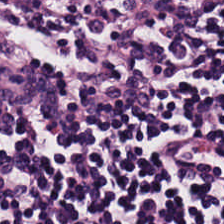H&E. 0.5 µm per pixel. Predominant tissue: lymphocyte aggregate.
